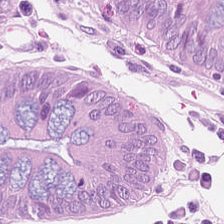This patch shows benign colonic mucosa.
